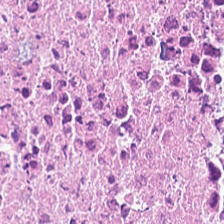Histology — debris.
